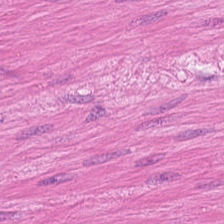Q: What is shown in this field?
A: It is muscularis.
